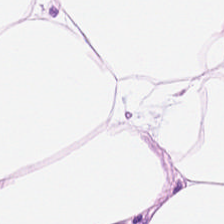H&E stain; 224×224 px tile.
The predominant tissue is adipocytes.
